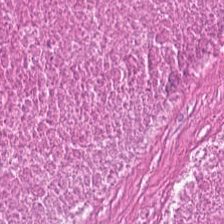Hematoxylin and eosin. Finding — cellular debris.
